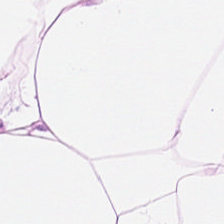H&E-stained tissue section. 224×224 px patch — Predominantly fat tissue.
